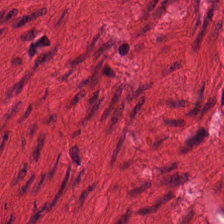Stain: hematoxylin and eosin.
Predominant tissue: smooth muscle.
